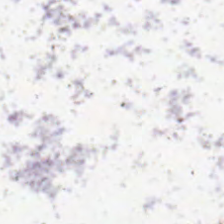H&E. {"content": "no tissue"}
